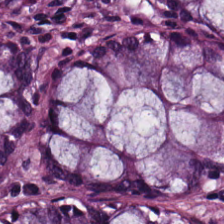H&E stain — Tissue — non-neoplastic colon mucosa.
